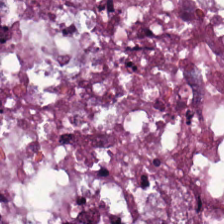Stain: H&E-stained tissue section.
Resolution: 0.5 µm/px.
Predominant tissue: colorectal adenocarcinoma epithelium.
